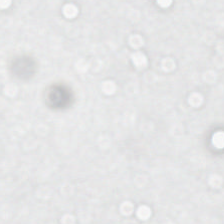Hematoxylin-and-eosin stained section.
{"content": "background (no tissue)"}
